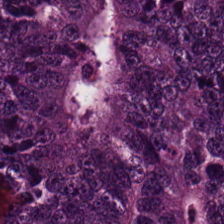Stain: H&E stain.
Acquisition: whole-slide-image patch.
Tissue class: colorectal adenocarcinoma.
